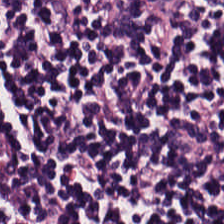H&E · WSI patch. Tissue type — lymphocytes.
